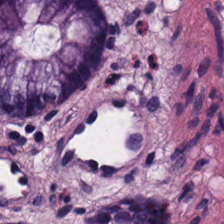Hematoxylin-and-eosin section: normal colon mucosa.
